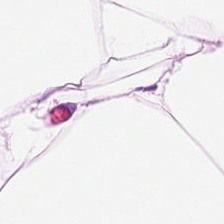Brightfield microscopy; H&E-stained tissue section; 224×224 px patch.
Tissue type — fat tissue.
